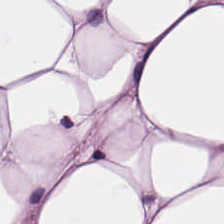H&E-stained section; the field shows adipocytes.
